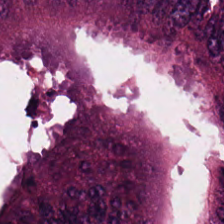H&E-stained tissue section. Q: What does this patch show?
A: It is adenocarcinoma.
